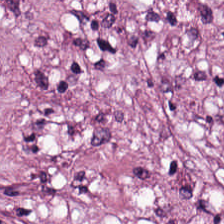H&E.
This field is tumor stroma.
